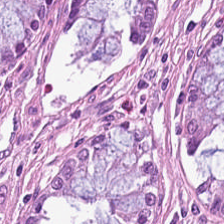Hematoxylin-and-eosin stained section — Finding → non-neoplastic colon mucosa.
